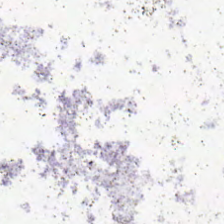Hematoxylin and eosin. Field content — no tissue.
